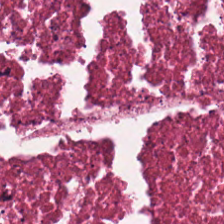Stain: H&E-stained tissue section.
Predominant tissue: debris.
